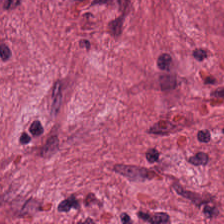Stain: H&E stain.
Tissue type: tumor-associated stroma.
